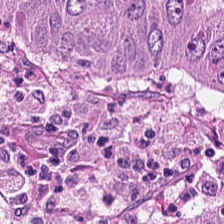H&E. WSI patch.
Colorectal adenocarcinoma.
